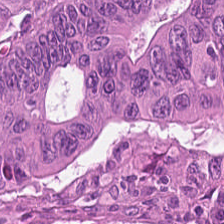Classification = malignant epithelium.
